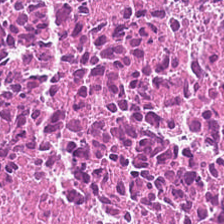H&E.
The predominant tissue is debris.
